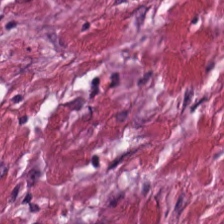0.5 µm per pixel. H&E — The tissue here is tumor-associated stroma.
